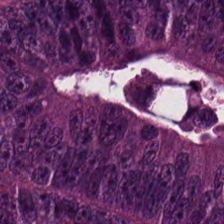H&E.
Tissue class = tumor epithelium.
